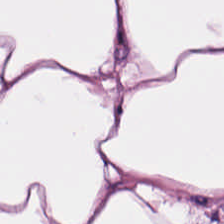224×224 px tile · hematoxylin-and-eosin stained section.
Q: What is the predominant tissue type?
A: This is adipocytes.
